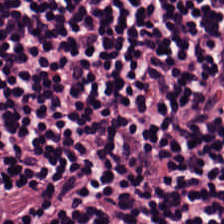H&E stain.
The tissue here is lymphocytes.
